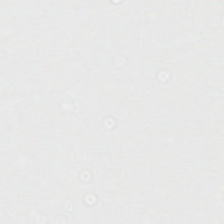Formalin-fixed paraffin-embedded section. H&E-stained tissue section. Impression — no tissue.
